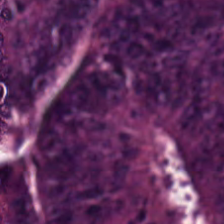Hematoxylin-and-eosin section: colorectal adenocarcinoma epithelium.
